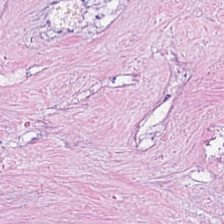Q: What does this patch show?
A: The field shows cellular debris.
